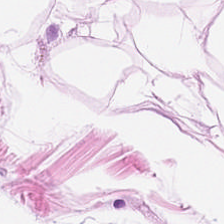H&E-stained tissue section · FFPE tissue section · 0.5 microns per pixel.
Finding — fat tissue.
